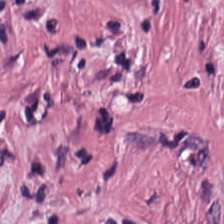This patch shows tumor-associated stroma.
